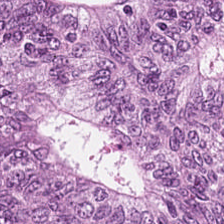Hematoxylin-and-eosin stained section — Finding — malignant epithelium.
